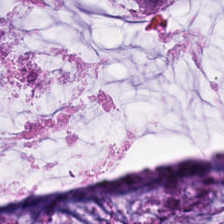H&E patch showing mucus.
